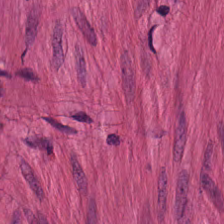The tissue here is smooth muscle.
